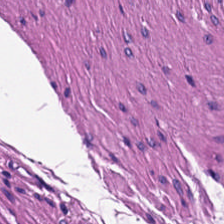Q: What type of tissue is this?
A: The field shows muscularis.
